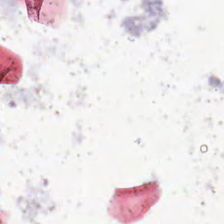H&E stain.
The content is background.
